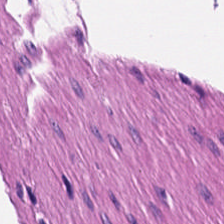0.5 microns per pixel. H&E. Smooth-muscle tissue.
